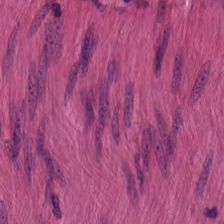H&E stain.
Showing muscularis.
